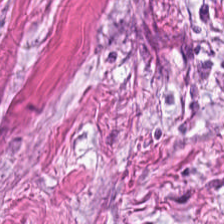H&E-stained tissue section showing tumor stroma.
